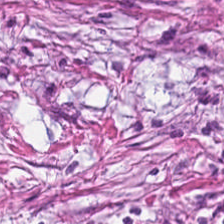This field is desmoplastic stroma.
